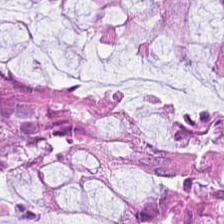H&E-stained tissue section.
Q: What tissue type is shown here?
A: It is benign colonic mucosa.
